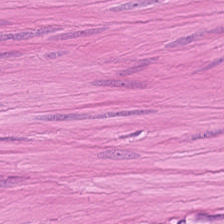WSI patch · H&E. The tissue here is muscularis.
